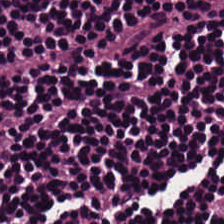H&E.
This patch shows lymphocytes.
